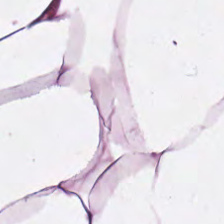{"tissue_type": "adipose tissue"}
